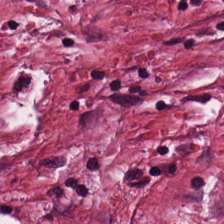Q: What tissue is shown?
A: The field shows tumor-associated stroma.
